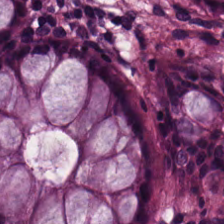H&E stain.
This field is normal colon mucosa.
